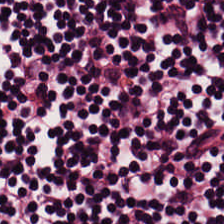H&E · FFPE · 224×224 px patch. The predominant tissue is lymphocytic infiltrate.
